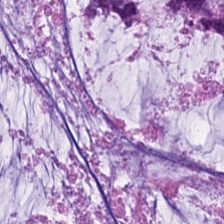H&E-stained tissue section. 20× equivalent magnification. 224×224 pixel tile.
Showing mucin.
